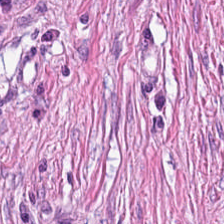Hematoxylin and eosin. WSI patch. Predominantly tumor-associated stroma.
